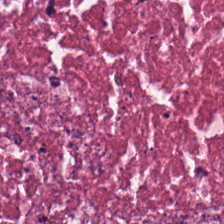Stain: H&E.
Resolution: 0.5 microns per pixel.
Predominant tissue: debris.
